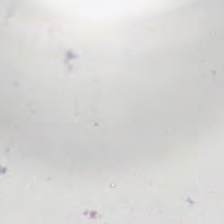H&E-stained tissue section. Q: Classify this patch.
A: Empty background.
